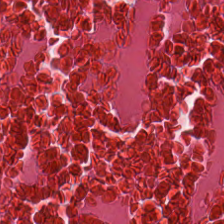Whole-slide-image patch; hematoxylin-and-eosin stained section; 0.5 microns per pixel.
Classification = debris.
